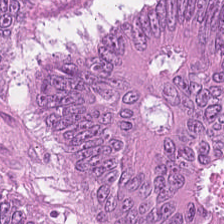0.5 microns per pixel. Brightfield microscopy. H&E-stained tissue section — This patch shows colorectal adenocarcinoma.
